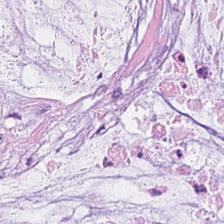Stain: H&E.
Tissue: mucin.
